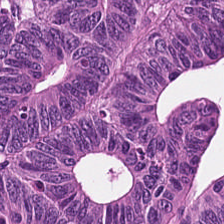Hematoxylin-and-eosin stained section. 20× equivalent magnification — This patch shows colorectal adenocarcinoma epithelium.
